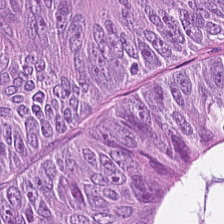This patch shows colorectal adenocarcinoma epithelium.
